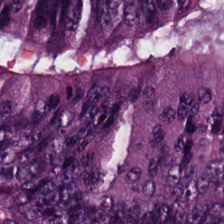Hematoxylin and eosin — Predominantly tumor epithelium.
